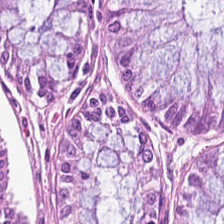Hematoxylin-and-eosin stained section — This field is non-neoplastic colon mucosa.
